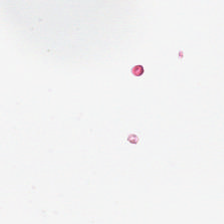Stain: hematoxylin-and-eosin stained section.
Resolution: 0.5 µm/px.
Content: background.
